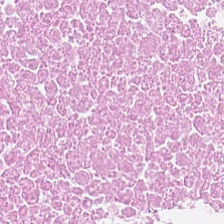H&E-stained tissue section showing debris.
